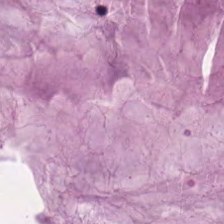Hematoxylin and eosin — Predominant tissue — mucin.
